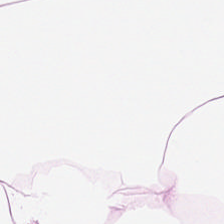H&E-stained tissue section.
{"tissue_type": "adipose"}
